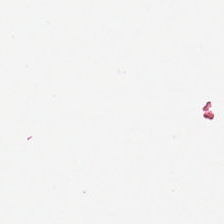H&E-stained tissue section; 224×224 pixel tile. Empty field — empty background.
